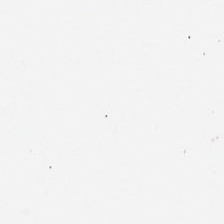Hematoxylin and eosin — This field is background (no tissue).
